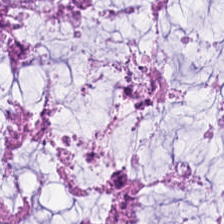Q: Identify the tissue.
A: This is mucin.
